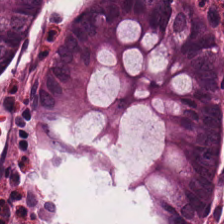H&E stain. The tissue is normal colon mucosa.
